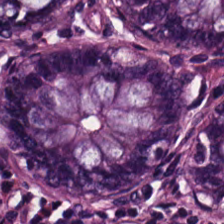H&E stain. Brightfield.
The predominant tissue is normal colon mucosa.
